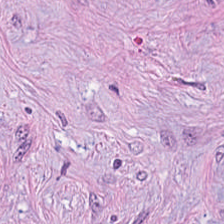FFPE tissue section. H&E — The predominant tissue is tumor stroma.
